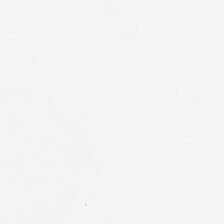H&E-stained tissue section.
Field content — empty background.
